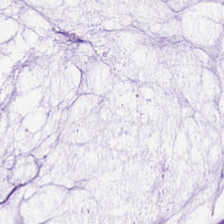H&E patch showing mucin.
